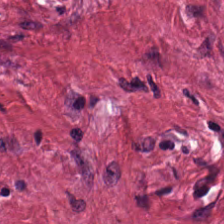H&E · 224×224 px tile — Showing tumor-associated stroma.
